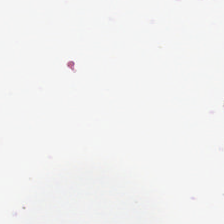FFPE tissue section. Hematoxylin and eosin.
No tissue.
